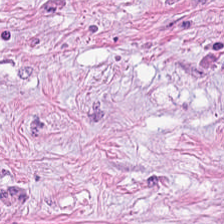Hematoxylin and eosin. Formalin-fixed paraffin-embedded section. 224×224 pixel tile.
Impression → tumor stroma.
